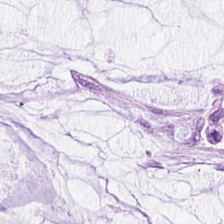Q: What is shown here?
A: Mucus.
